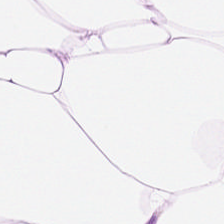224×224 px tile · H&E — Adipose tissue.
